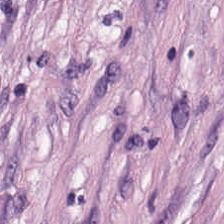Hematoxylin and eosin. {"tissue_type": "cancer-associated stroma"}
